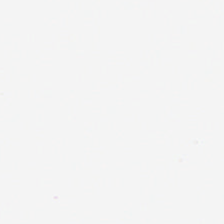This patch shows empty background.
